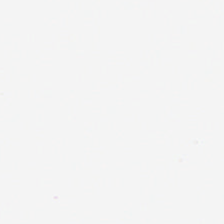This patch shows empty background.
